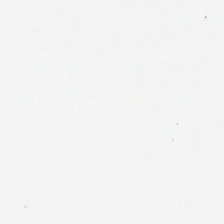224×224 pixel tile. H&E stain — Field content = no tissue.
